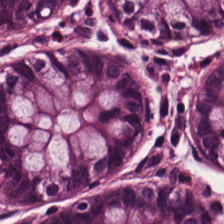Q: What tissue is shown?
A: It is non-neoplastic colon mucosa.
